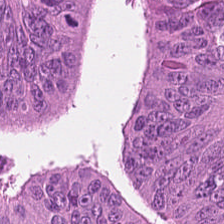0.5 microns per pixel. H&E-stained tissue section. 224×224 pixel tile. Tissue type = colorectal adenocarcinoma.
